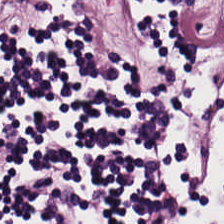Hematoxylin-and-eosin stained section; formalin-fixed paraffin-embedded section. Q: Identify the tissue.
A: The field shows lymphocytic infiltrate.
